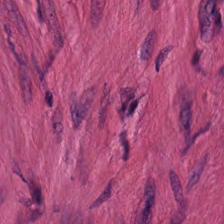224×224 px tile. Hematoxylin and eosin. Smooth muscle.
